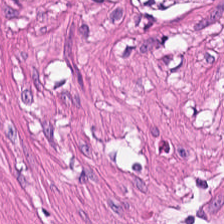Hematoxylin and eosin.
Q: What does this patch show?
A: The field shows smooth-muscle tissue.
